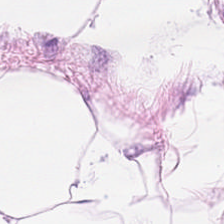H&E. Q: What is shown in this field?
A: This is adipose.
